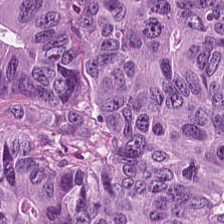H&E · 0.5 microns per pixel. Q: What tissue is shown?
A: It is colorectal adenocarcinoma epithelium.
